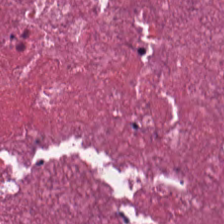Hematoxylin-and-eosin stained section; 0.5 µm per pixel — The tissue here is necrotic debris.
